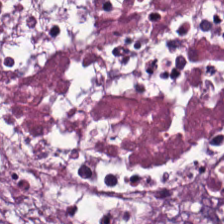H&E-stained tissue section. 0.5 µm per pixel.
The predominant tissue is debris.
